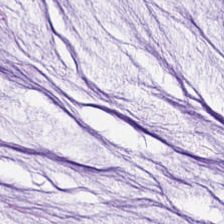Q: What tissue type is shown here?
A: This is mucin.
